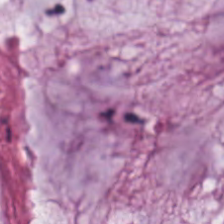Hematoxylin and eosin — Histology → mucus.
